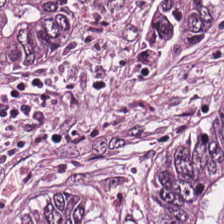H&E stain; FFPE. Showing colorectal adenocarcinoma epithelium.
